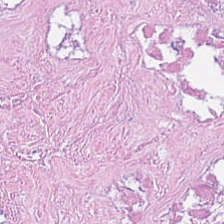H&E stain. 224×224 px patch — Tissue class — necrotic debris.
